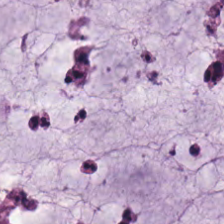Stain: H&E.
Tissue type: mucin.
